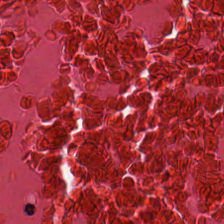Q: What is the predominant tissue type?
A: Necrotic debris.
